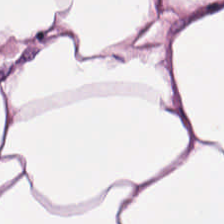Stain: H&E stain.
Predominant tissue: adipose tissue.
